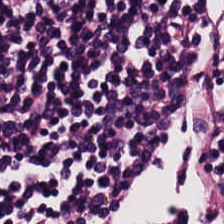Hematoxylin-and-eosin stained section; formalin-fixed paraffin-embedded section; brightfield.
Histology — lymphocyte aggregate.
